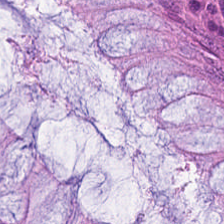Hematoxylin and eosin — {"tissue_type": "normal colonic mucosa"}
